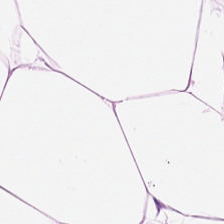H&E. Showing adipose tissue.
